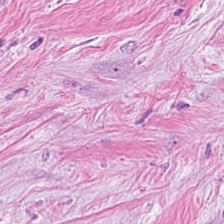Stain: H&E.
Tissue class: desmoplastic stroma.
